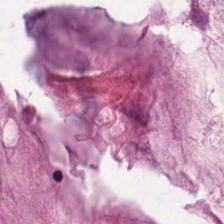H&E. Mucin.
